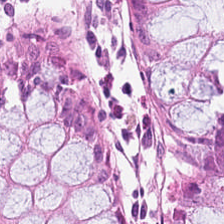Hematoxylin and eosin — Classification — benign colonic mucosa.
